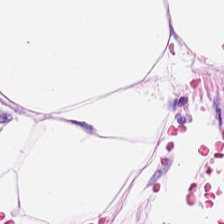Stain: hematoxylin-and-eosin stained section.
Tile size: 224×224 px tile.
Acquisition: brightfield.
Tissue type: adipose.
